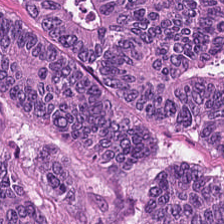Histology → tumor epithelium.
